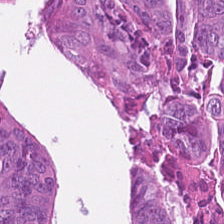Hematoxylin-and-eosin stained section — This field is malignant epithelium.
